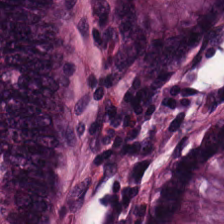H&E · WSI patch.
Impression — normal colon mucosa.
